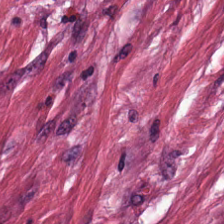Predominantly tumor-associated stroma.
